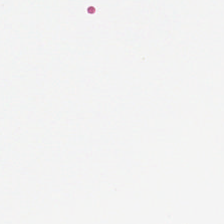H&E-stained tissue section — Field content = empty background.
